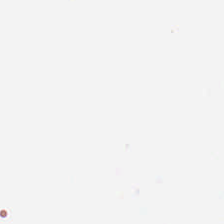H&E-stained tissue section.
Background — no tissue in this field.
